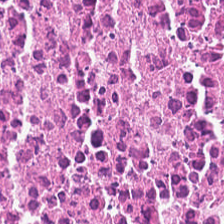Stain: H&E.
Predominant tissue: necrotic debris.
